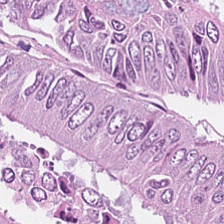H&E-stained tissue section.
Predominant tissue — malignant epithelium.
